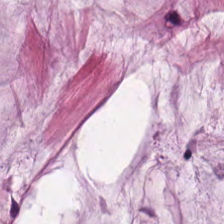H&E.
Q: Classify this patch.
A: The field shows mucus.
